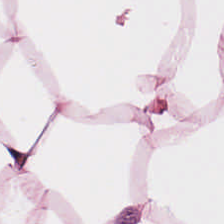Showing adipose tissue.
